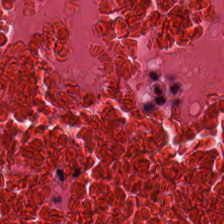Predominant tissue: necrotic debris.
